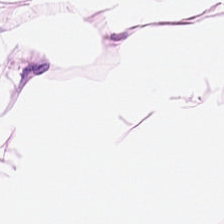Hematoxylin-and-eosin stained section. Q: What is the predominant tissue type?
A: Adipose.
